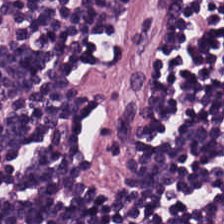Hematoxylin-and-eosin stained section.
This patch shows lymphocytic infiltrate.
